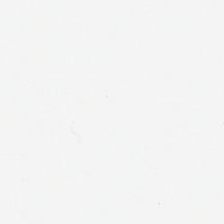WSI patch; H&E-stained tissue section.
The classification is background.
